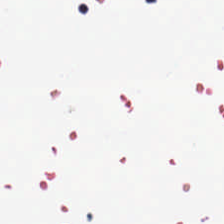H&E-stained tissue section. This field is background (no tissue).
